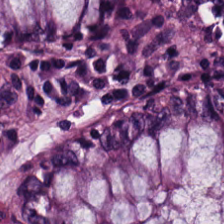H&E — Predominantly normal colonic mucosa.
